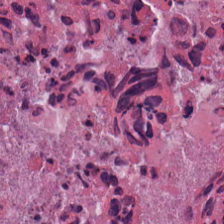H&E. Predominantly debris.
